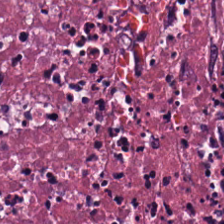H&E · FFPE. Q: What is shown here?
A: Cellular debris.
